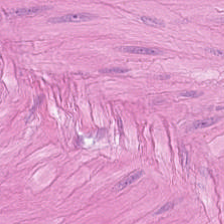0.5 microns per pixel; hematoxylin and eosin; whole-slide-image patch.
Q: What is the predominant tissue type?
A: The field shows muscularis.
